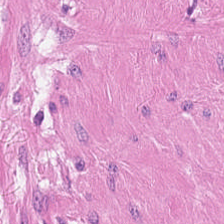H&E-stained tissue section.
Histology → smooth muscle.
